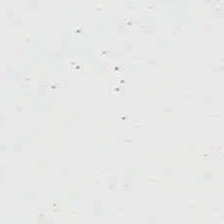Hematoxylin-and-eosin stained section.
Histology — empty background.
